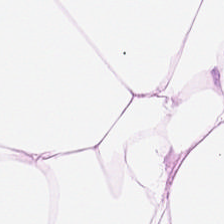Tissue class — adipocytes.
